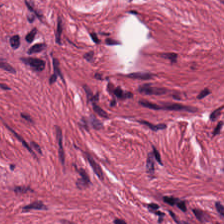H&E-stained tissue section — The classification is tumor-associated stroma.
